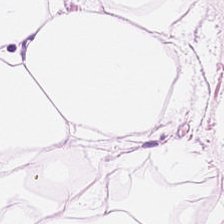Hematoxylin and eosin — Showing fat tissue.
